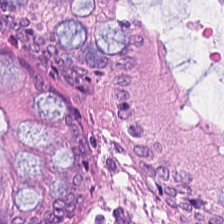H&E-stained tissue section showing benign colonic mucosa.
